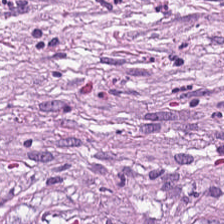H&E.
This patch shows cancer-associated stroma.
